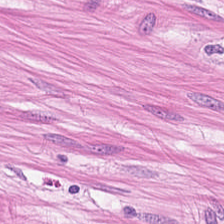Hematoxylin-and-eosin stained section — Showing smooth muscle.
